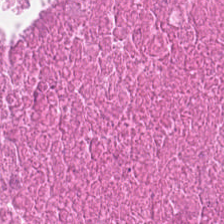H&E-stained tissue section.
Q: What tissue type is shown here?
A: This is debris.
